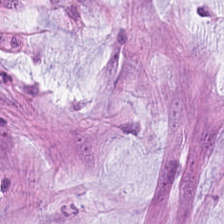H&E-stained tissue section. Tissue = mucus.
